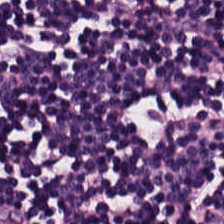Histology — lymphocytes.
